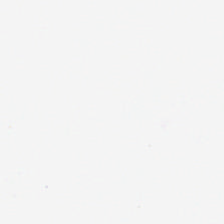Background.
